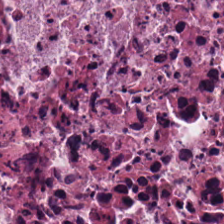Brightfield; H&E-stained tissue section — This field is debris.
